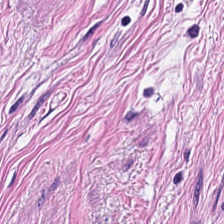Hematoxylin and eosin · 0.5 µm/px · formalin-fixed paraffin-embedded section. Showing muscularis.
